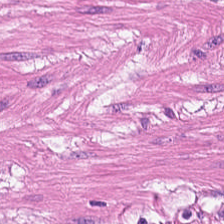Classification — smooth-muscle tissue.
